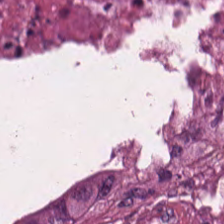H&E stain. The predominant tissue is necrotic debris.
